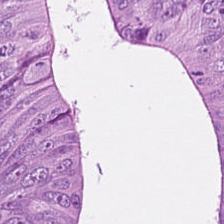H&E stain. 0.5 µm per pixel. WSI patch.
This patch shows colorectal adenocarcinoma epithelium.
